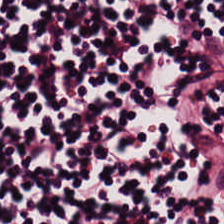Predominantly lymphocytes.
